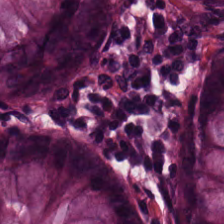H&E-stained tissue section — Q: What tissue type is shown here?
A: This is non-neoplastic colon mucosa.
